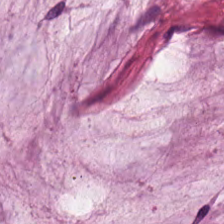H&E-stained tissue section showing mucin.
